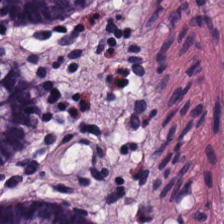The tissue type is benign colonic mucosa.
